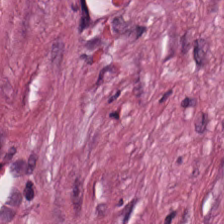The predominant tissue is cancer-associated stroma.
